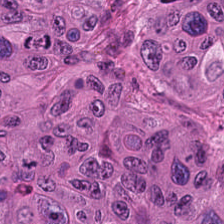224×224 pixel tile · brightfield · H&E. The predominant tissue is tumor epithelium.
